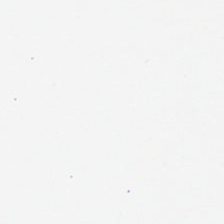Hematoxylin and eosin.
Background.
